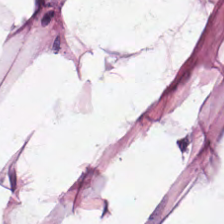Hematoxylin-and-eosin stained section.
Predominant tissue — adipose.
